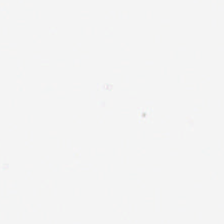Content — no tissue.
